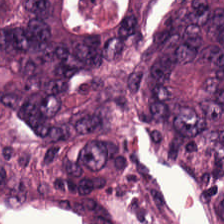Hematoxylin and eosin. Showing tumor epithelium.
